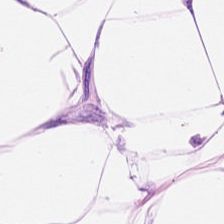Hematoxylin-and-eosin stained section · 224×224 px tile.
This field is adipose tissue.
